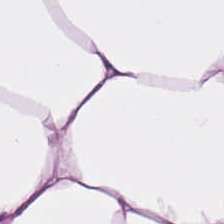H&E patch showing fat tissue.
